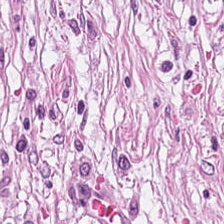H&E stain · 0.5 µm per pixel.
The predominant tissue is tumor-associated stroma.
